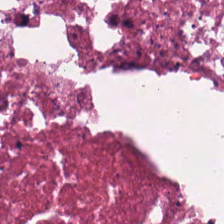H&E. The tissue here is necrotic debris.
